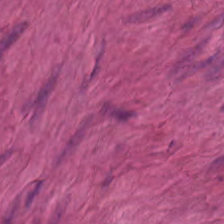This patch shows muscularis.
